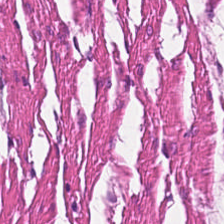Hematoxylin-and-eosin stained section.
This patch shows muscularis.
